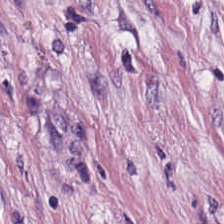H&E stain. This field is tumor stroma.
